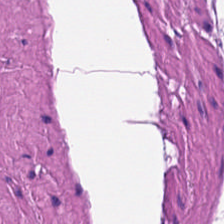Impression — smooth muscle.
